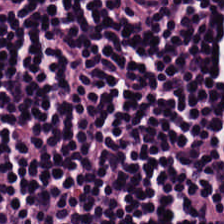224×224 px patch. Hematoxylin and eosin.
{"tissue_type": "lymphoid infiltrate"}
